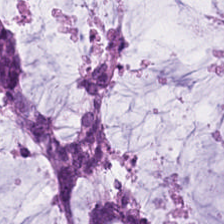20× equivalent magnification · H&E. Finding — mucin.
